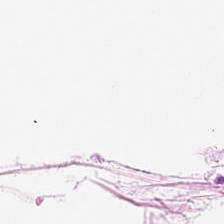Stain: H&E.
Preparation: FFPE tissue section.
Tissue type: adipose.
